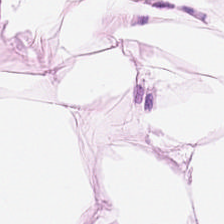0.5 microns per pixel · hematoxylin and eosin · 224×224 pixel tile — This field is adipose tissue.
